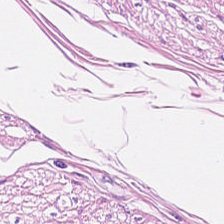The predominant tissue is smooth muscle.
